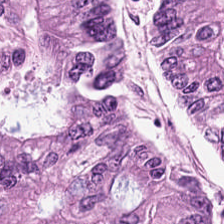Finding — colorectal adenocarcinoma epithelium.
